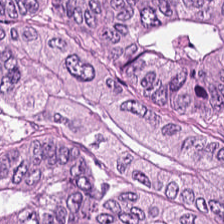Hematoxylin and eosin; 0.5 µm/px; brightfield — Tissue: colorectal adenocarcinoma.
